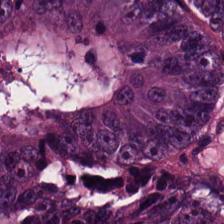H&E-stained tissue section.
Classification: tumor epithelium.
